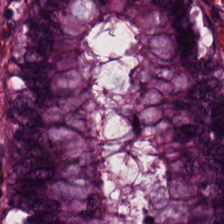Benign colonic mucosa.
